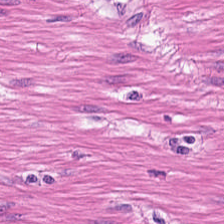Whole-slide-image patch; hematoxylin-and-eosin stained section — Q: Classify this patch.
A: The field shows smooth muscle.
